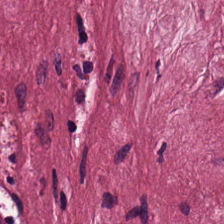Stain: hematoxylin and eosin.
Classification: desmoplastic stroma.
